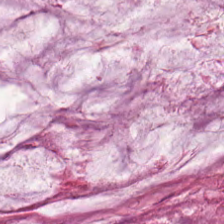H&E-stained tissue section.
Q: What tissue is shown?
A: This is mucus.
